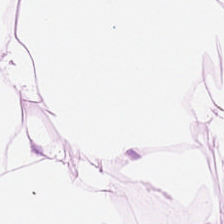Hematoxylin and eosin · brightfield. Showing adipose tissue.
